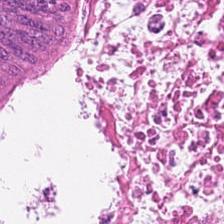Stain: H&E.
Predominant tissue: malignant epithelium.
